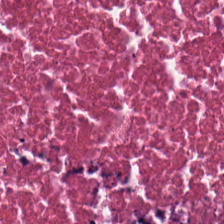Stain: hematoxylin and eosin.
Tissue type: debris.
